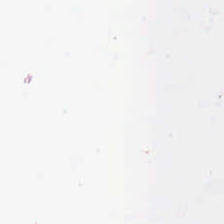Whole-slide-image patch. H&E stain. Background — no tissue in this field.
